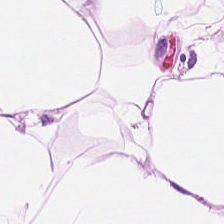Q: What does this patch show?
A: This is adipocytes.
